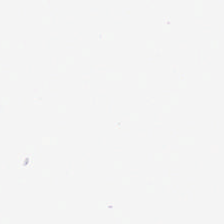H&E; 224×224 pixel tile; whole-slide-image patch. Q: What is shown here?
A: It is background (no tissue).
